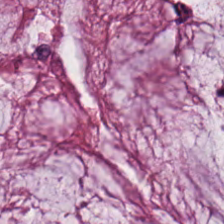Predominantly extracellular mucin.
